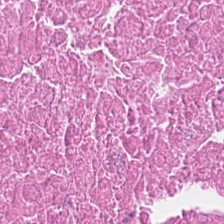Impression — cellular debris.
